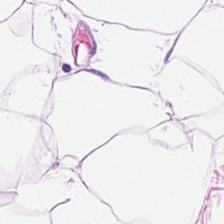H&E.
Tissue type — fat tissue.
